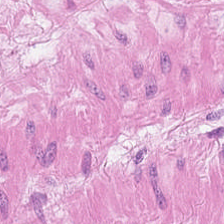H&E · brightfield microscopy · FFPE. Smooth muscle.
